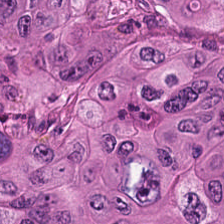The predominant tissue is colorectal adenocarcinoma.
